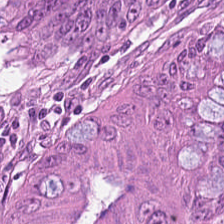The predominant tissue is colorectal adenocarcinoma epithelium.
